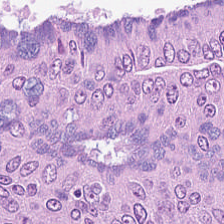Stain: hematoxylin-and-eosin stained section.
Predominant tissue: colorectal adenocarcinoma epithelium.
